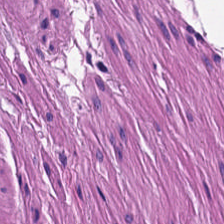H&E-stained tissue section. 0.5 µm per pixel. Brightfield. Classification = smooth-muscle tissue.
